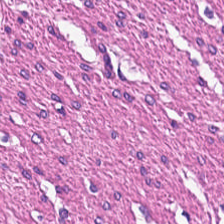This field is smooth muscle.
